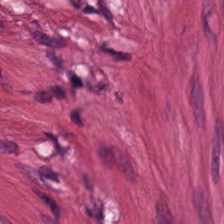Hematoxylin and eosin.
Predominantly muscularis.
